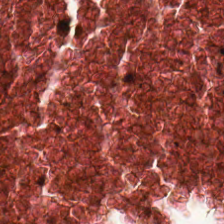Hematoxylin-and-eosin stained section; brightfield microscopy; 0.5 µm/px — The predominant tissue is necrotic debris.
